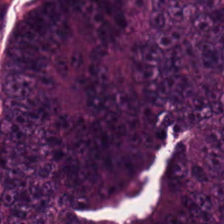H&E — This patch shows malignant epithelium.
